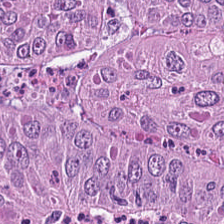0.5 µm/px; formalin-fixed paraffin-embedded section; H&E-stained tissue section.
Tissue type = colorectal adenocarcinoma epithelium.
